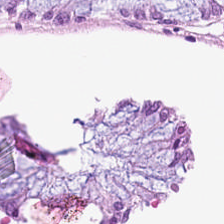Hematoxylin-and-eosin stained section. This patch shows normal colon mucosa.
